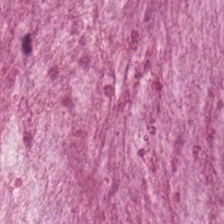This field is extracellular mucin.
